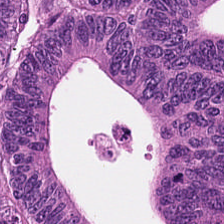Hematoxylin-and-eosin stained section.
Predominantly colorectal adenocarcinoma epithelium.
